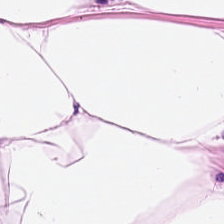224×224 pixel tile; H&E.
Q: What does this patch show?
A: This is adipose.
